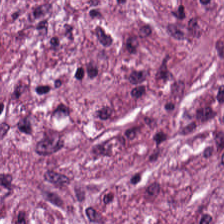Hematoxylin-and-eosin stained section — Q: What is shown here?
A: It is tumor stroma.
